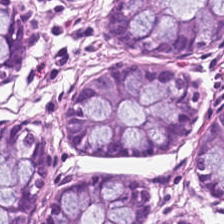H&E stain. Q: What does this patch show?
A: This is normal colon mucosa.
